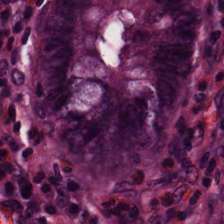FFPE tissue section; 0.5 µm/px; H&E stain — Q: What type of tissue is this?
A: It is normal colonic mucosa.
